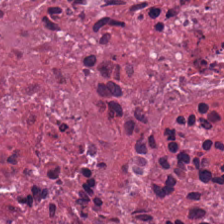0.5 microns per pixel. H&E stain. Histology → debris.
